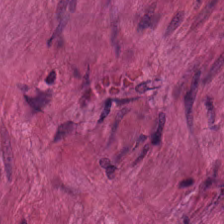H&E-stained tissue section; FFPE. Smooth-muscle tissue.
